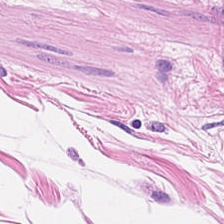Q: What is shown in this field?
A: It is smooth-muscle tissue.
